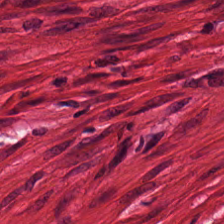Hematoxylin and eosin.
The tissue here is muscularis.
